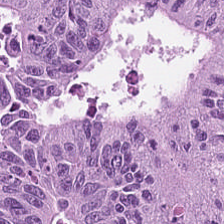Stain: H&E-stained tissue section.
Predominant tissue: colorectal adenocarcinoma.
